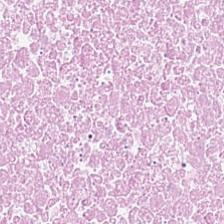Hematoxylin and eosin.
Tissue type: necrotic debris.
